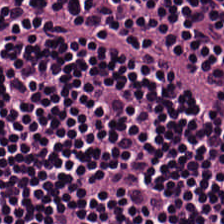H&E-stained tissue section.
The tissue here is lymphocytes.
